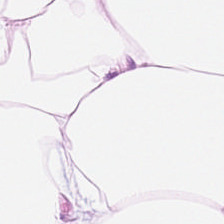FFPE · H&E. Q: What does this patch show?
A: The field shows adipose tissue.
